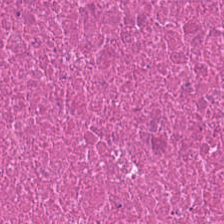H&E-stained tissue section showing necrotic debris.
